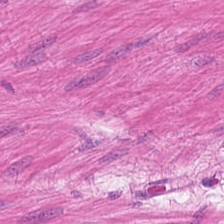Stain: hematoxylin and eosin.
Tissue type: smooth-muscle tissue.
